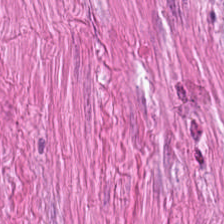FFPE tissue section. H&E stain. {"tissue_type": "muscularis"}
